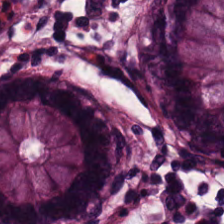Hematoxylin-and-eosin stained section.
Showing normal colonic mucosa.
